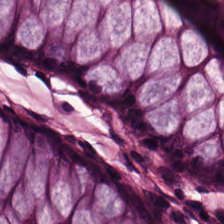Hematoxylin-and-eosin stained section. FFPE. Brightfield microscopy — {"tissue_type": "normal colonic mucosa"}
